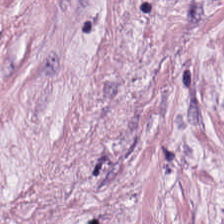H&E patch showing tumor stroma.
